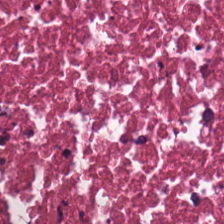Stain: hematoxylin and eosin.
Classification: necrotic debris.
